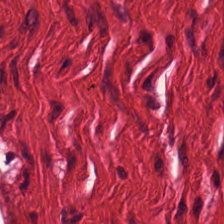Tissue class = smooth muscle.
